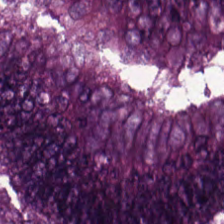H&E — Tumor epithelium.
